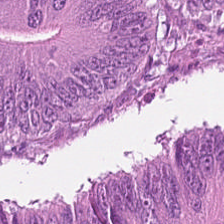Hematoxylin and eosin — Tissue type: adenocarcinoma.
